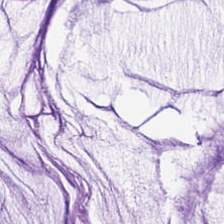{"tissue_type": "mucus"}
